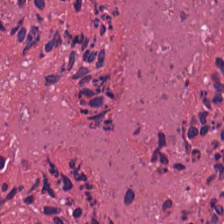H&E — Predominantly cellular debris.
